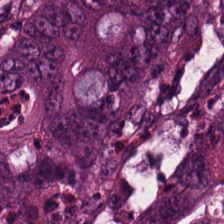H&E stain; 224×224 px patch.
Finding — malignant epithelium.
